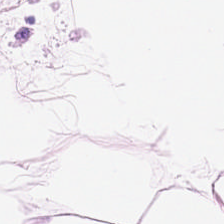20× equivalent magnification. FFPE tissue section. H&E. Predominantly adipose tissue.
